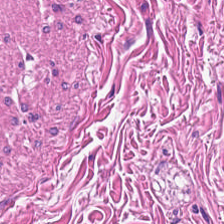224×224 px tile. H&E stain. Finding — muscularis.
